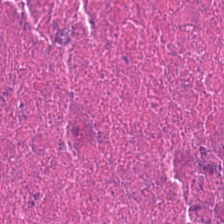Hematoxylin-and-eosin section: cellular debris.
